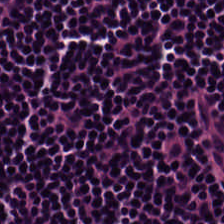H&E-stained tissue section. FFPE tissue section. 224×224 pixel tile — The tissue here is lymphoid infiltrate.
